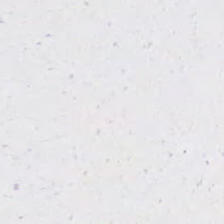Background — no tissue in this field.
